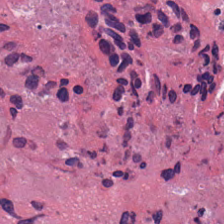224×224 pixel tile. Hematoxylin-and-eosin stained section. 0.5 µm/px.
This patch shows cellular debris.
